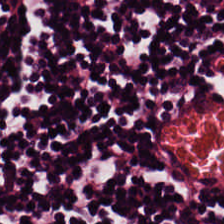Stain: H&E.
Tissue: lymphocytic infiltrate.
